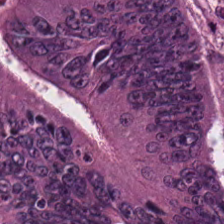H&E stain. Q: What is shown in this field?
A: It is colorectal adenocarcinoma epithelium.
